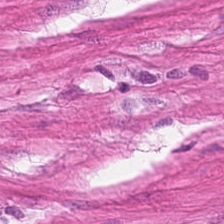H&E · WSI patch — Histology — smooth-muscle tissue.
